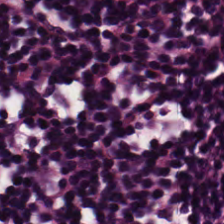0.5 µm per pixel. Hematoxylin-and-eosin stained section. Whole-slide-image patch — Predominant tissue: lymphocytes.
